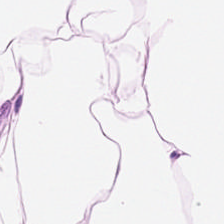Tissue = adipose tissue.
